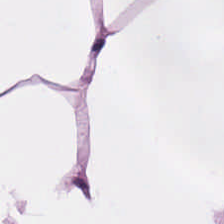Q: Identify the tissue.
A: It is adipose.
